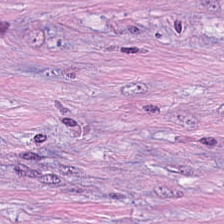Stain: H&E-stained tissue section.
Resolution: 0.5 µm/px.
Tissue type: tumor-associated stroma.
